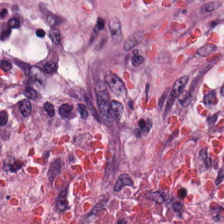{"tissue_type": "debris"}
